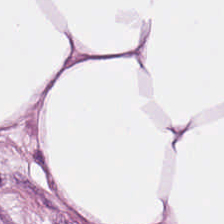0.5 µm/px. H&E-stained tissue section.
This patch shows fat tissue.
